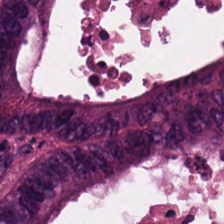Stain: H&E-stained tissue section.
Acquisition: brightfield.
Tissue class: colorectal adenocarcinoma epithelium.
